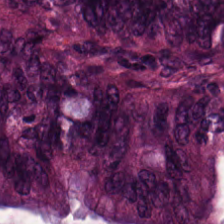H&E-stained tissue section. 0.5 µm per pixel. Whole-slide-image patch.
The tissue class is tumor epithelium.
